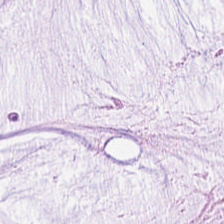Formalin-fixed paraffin-embedded section; hematoxylin and eosin — Histology → extracellular mucin.
